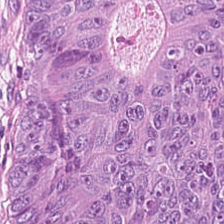H&E stain — Histology — malignant epithelium.
